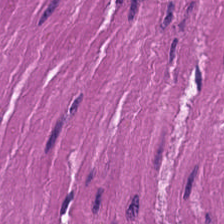H&E. Showing smooth muscle.
